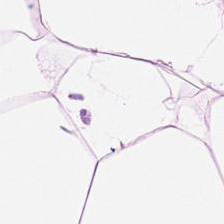Stain: hematoxylin and eosin.
Tissue: fat tissue.
